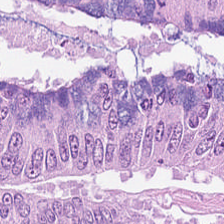Stain: H&E-stained tissue section.
Classification: adenocarcinoma.
